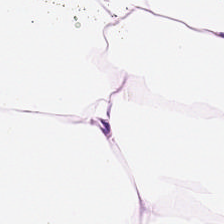Finding → adipocytes.
